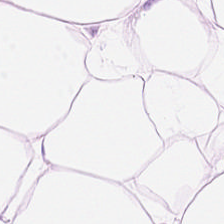Hematoxylin-and-eosin stained section. 0.5 µm/px — Adipose tissue.
